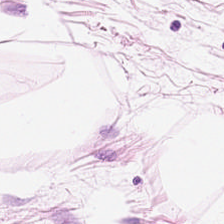H&E-stained tissue section · 0.5 microns per pixel.
Showing fat tissue.
